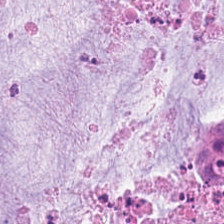H&E — Extracellular mucin.
